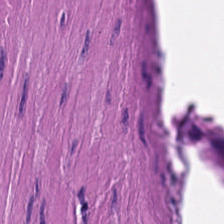H&E-stained tissue section; 224×224 pixel tile. Tissue class = smooth-muscle tissue.
